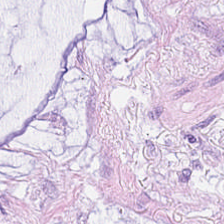This field is mucus.
